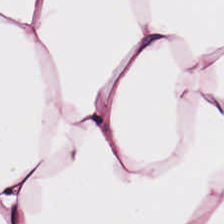Q: Identify the tissue.
A: The field shows adipose.
